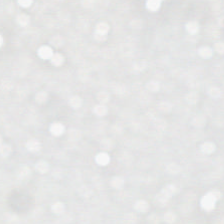Background.
